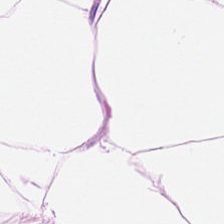Classification = fat tissue.
